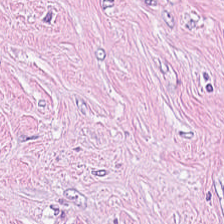Tissue type: tumor-associated stroma.
